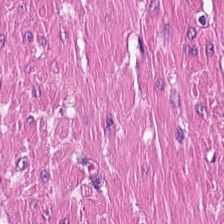FFPE tissue section · brightfield · H&E-stained tissue section. Classification = smooth muscle.
